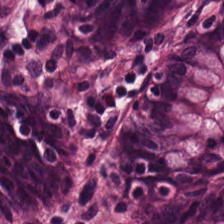The classification is normal colonic mucosa.
